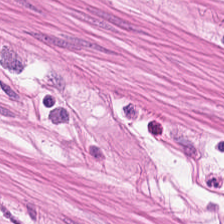H&E stain; 224×224 px patch — Muscularis.
